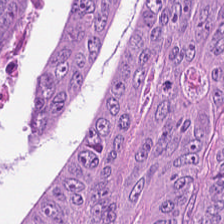224×224 px tile · FFPE tissue section · H&E — This patch shows colorectal adenocarcinoma.
